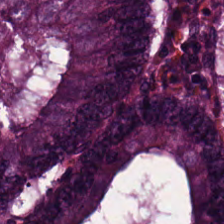The classification is adenocarcinoma.
